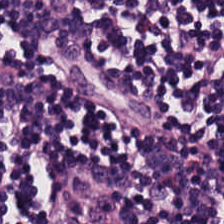Brightfield; H&E stain — Showing lymphocytic infiltrate.
